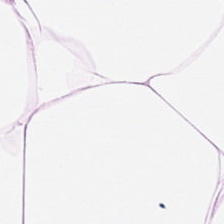FFPE tissue section; H&E-stained tissue section; 224×224 px patch.
Q: What does this patch show?
A: It is adipose tissue.
